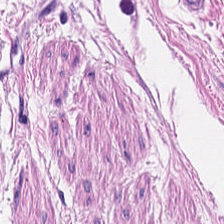H&E. Histology — muscularis.
